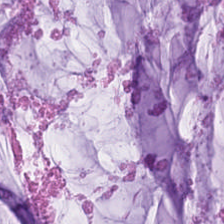Stain: H&E.
Tissue type: mucin.
